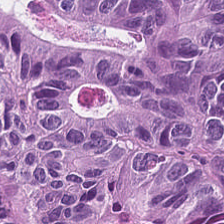224×224 px tile. H&E-stained tissue section.
Classification = adenocarcinoma.
